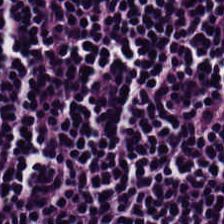0.5 µm per pixel. H&E stain.
Classification — lymphoid infiltrate.
